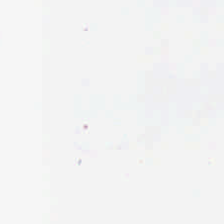Stain: hematoxylin-and-eosin stained section.
Field content: background (no tissue).
